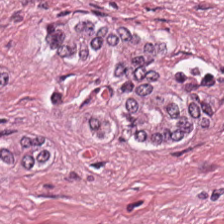H&E-stained tissue section. Tumor-associated stroma.
